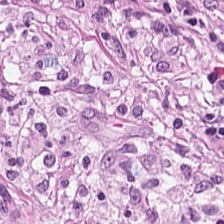0.5 microns per pixel · H&E-stained tissue section · 224×224 pixel tile — This patch shows desmoplastic stroma.
